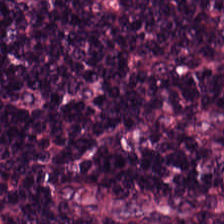Histology → lymphoid infiltrate.
